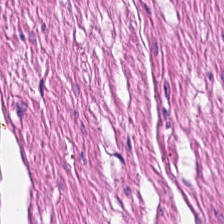Formalin-fixed paraffin-embedded section; hematoxylin and eosin. Muscularis.
